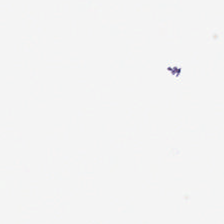The field content is empty background.
